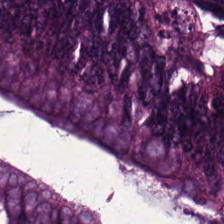Hematoxylin-and-eosin stained section. The predominant tissue is tumor epithelium.
